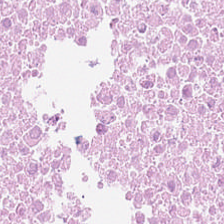0.5 µm/px. Formalin-fixed paraffin-embedded section. Hematoxylin-and-eosin stained section. Q: What does this patch show?
A: Necrotic debris.
